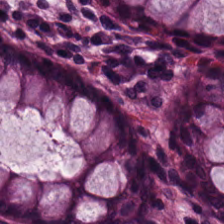224×224 px tile · hematoxylin-and-eosin stained section · formalin-fixed paraffin-embedded section.
Histology → non-neoplastic colon mucosa.
